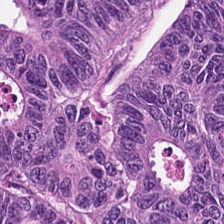0.5 µm/px · FFPE tissue section · H&E-stained tissue section — The predominant tissue is colorectal adenocarcinoma.
